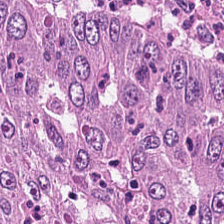20× equivalent magnification. H&E-stained tissue section. This field is adenocarcinoma.
